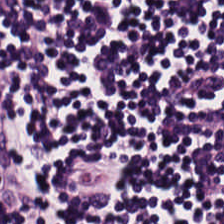H&E.
This patch shows lymphoid infiltrate.
